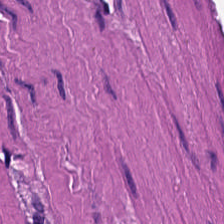H&E-stained section; the field shows smooth muscle.
